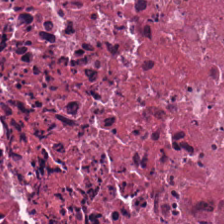20× equivalent magnification. H&E. {"tissue_type": "cellular debris"}
